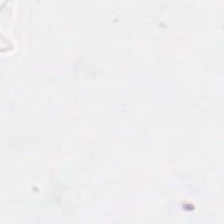H&E-stained tissue section. Whole-slide-image patch. 224×224 px tile.
Content = no tissue.
